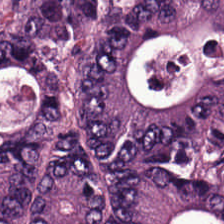Hematoxylin-and-eosin stained section — Tumor epithelium.
